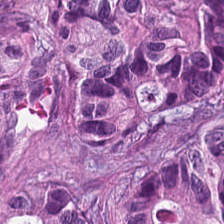Stain: hematoxylin-and-eosin stained section.
Acquisition: brightfield microscopy.
Tile size: 224×224 px patch.
Tissue class: colorectal adenocarcinoma.
